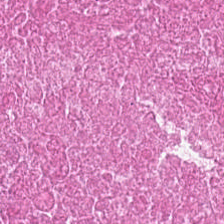Stain: hematoxylin and eosin.
Classification: necrotic debris.
